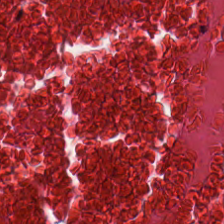H&E-stained tissue section. Debris.
